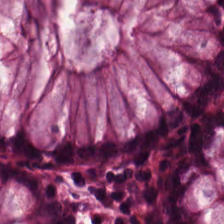Q: What type of tissue is this?
A: It is normal colon mucosa.
